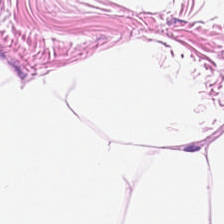H&E-stained tissue section. Histology — adipose.
